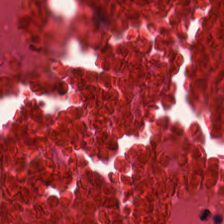H&E-stained tissue section · FFPE tissue section · whole-slide-image patch — Tissue type: cellular debris.
